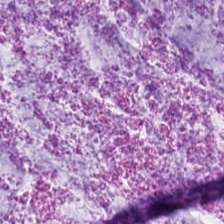The tissue is extracellular mucin.
